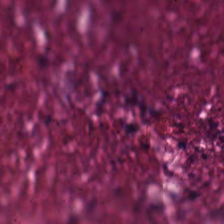Hematoxylin and eosin — Tissue type = cellular debris.
